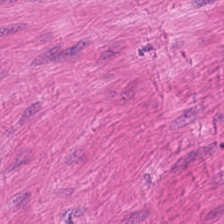H&E stain. 20× equivalent magnification. Whole-slide-image patch.
Classification: muscularis.
